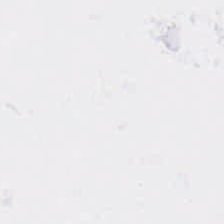H&E-stained tissue section — Q: What does this patch show?
A: Empty background.
